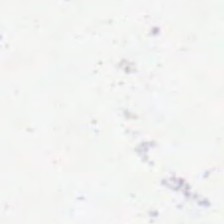Stain: hematoxylin-and-eosin stained section.
Content: no tissue.
